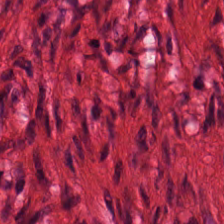Hematoxylin and eosin — Tissue class = smooth muscle.
